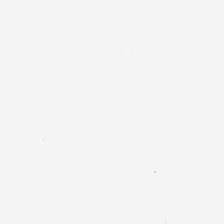H&E-stained tissue section — {"content": "background (no tissue)"}
